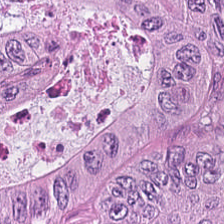H&E stain.
Q: What is the predominant tissue type?
A: It is colorectal adenocarcinoma.
